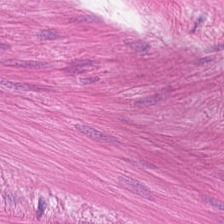Hematoxylin and eosin. The predominant tissue is smooth muscle.
